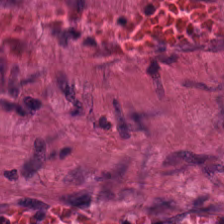Brightfield · 0.5 µm/px · H&E-stained tissue section. Showing smooth-muscle tissue.
